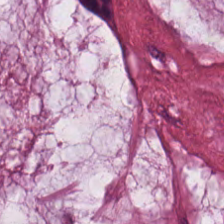Q: What does this patch show?
A: This is extracellular mucin.
